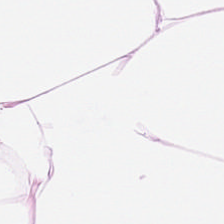Whole-slide-image patch; 224×224 px tile; hematoxylin-and-eosin stained section.
Q: What tissue is shown?
A: Adipose tissue.
